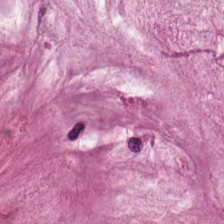H&E-stained tissue section; 224×224 px patch; brightfield. Q: What is shown here?
A: The field shows extracellular mucin.
